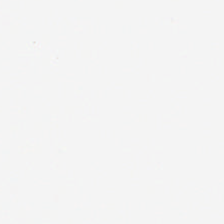Histology → background (no tissue).
